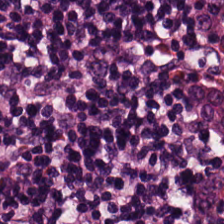Showing lymphoid infiltrate.
